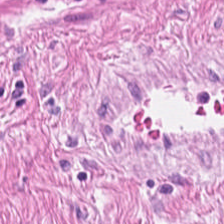{"tissue_type": "smooth-muscle tissue"}
